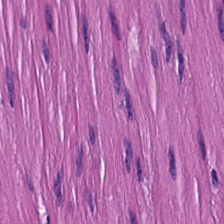Hematoxylin-and-eosin stained section — Showing smooth muscle.
